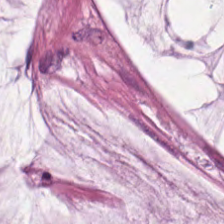Q: What is shown in this field?
A: This is mucus.
